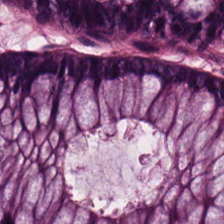H&E stain; WSI patch — Classification — non-neoplastic colon mucosa.
